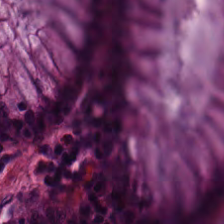Hematoxylin-and-eosin stained section. 224×224 px tile. Formalin-fixed paraffin-embedded section.
This field is benign colonic mucosa.
